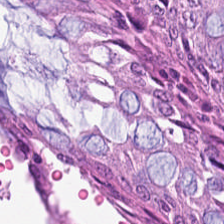Formalin-fixed paraffin-embedded section; hematoxylin and eosin; 224×224 px patch.
This patch shows benign colonic mucosa.
